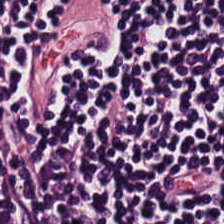Tissue class = lymphocytic infiltrate.
